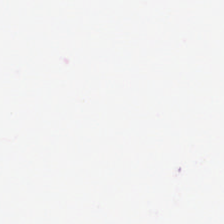Field content: empty background.
